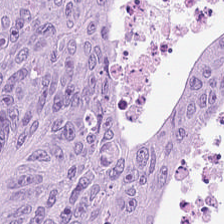Finding — colorectal adenocarcinoma epithelium.
